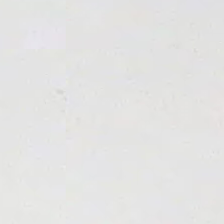FFPE tissue section. 0.5 microns per pixel. H&E stain.
Background — no tissue in this field.
